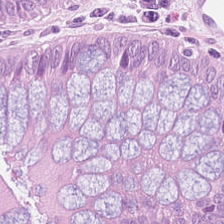Stain: hematoxylin and eosin.
Tissue type: non-neoplastic colon mucosa.
